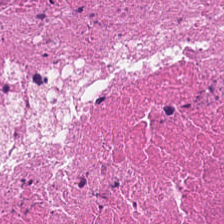224×224 px tile. Hematoxylin-and-eosin stained section.
Predominant tissue — debris.
